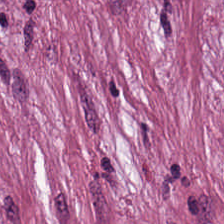H&E-stained tissue section · 0.5 µm/px — The classification is tumor-associated stroma.
